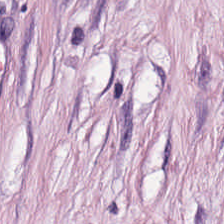Q: What tissue is shown?
A: Tumor-associated stroma.
